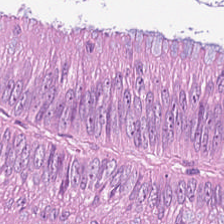H&E — This field is tumor epithelium.
